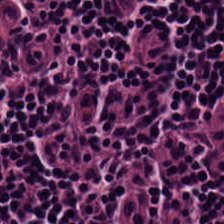Histology → lymphocytic infiltrate.
